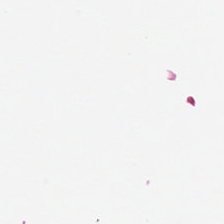Classification: background.
